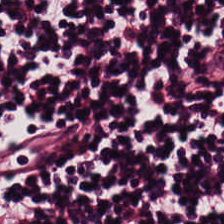H&E; brightfield. The tissue is lymphoid infiltrate.
